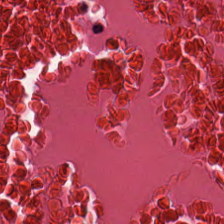Hematoxylin and eosin. Classification: cellular debris.
